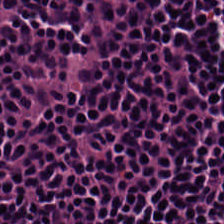H&E stain — Q: Classify this patch.
A: The field shows lymphoid infiltrate.
